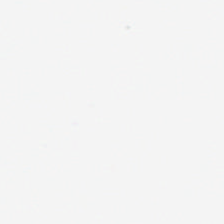Whole-slide-image patch. H&E-stained tissue section. Finding — no tissue.
